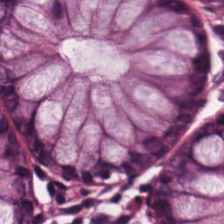Hematoxylin and eosin.
The tissue here is normal colonic mucosa.
